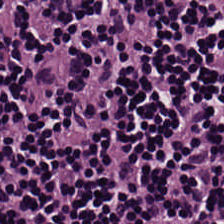Hematoxylin and eosin; 224×224 pixel tile. Impression → lymphocytic infiltrate.
